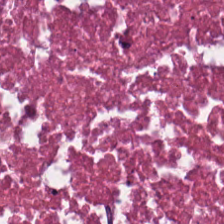FFPE · hematoxylin-and-eosin stained section — Histology — cellular debris.
